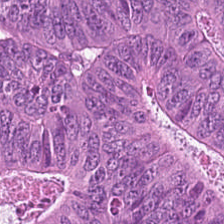Hematoxylin-and-eosin stained section.
Tissue type = colorectal adenocarcinoma.
